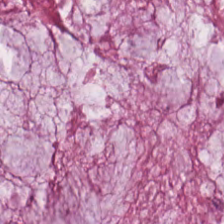Stain: H&E stain.
Preparation: FFPE.
Tissue type: extracellular mucin.
